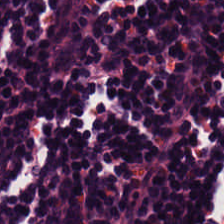Hematoxylin and eosin.
The tissue is lymphocyte aggregate.
